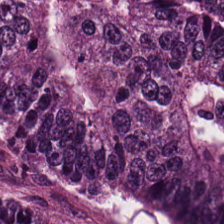224×224 px patch. H&E. FFPE tissue section.
The predominant tissue is adenocarcinoma.
